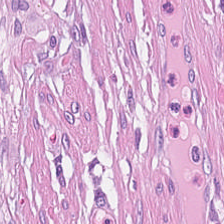H&E — tumor stroma.
